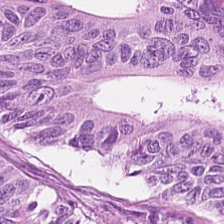Formalin-fixed paraffin-embedded section · H&E stain.
This patch shows colorectal adenocarcinoma epithelium.
